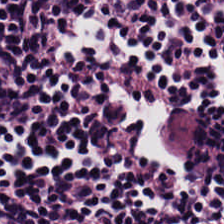H&E-stained tissue section — Q: Classify this patch.
A: Lymphocytic infiltrate.
